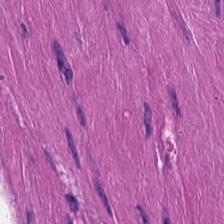Q: Classify this patch.
A: Smooth-muscle tissue.
